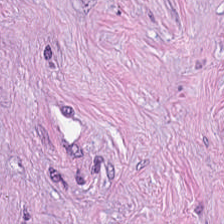Hematoxylin and eosin. Impression — cancer-associated stroma.
